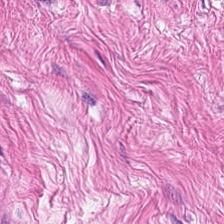Hematoxylin-and-eosin section: muscularis.
